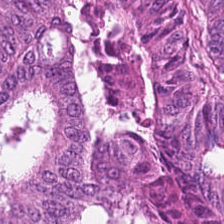Stain: hematoxylin and eosin.
Tissue class: adenocarcinoma.
